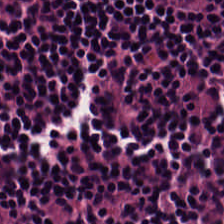The predominant tissue is lymphoid infiltrate.
